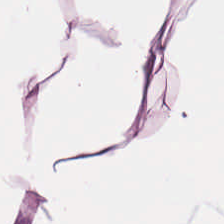H&E stain. The tissue here is adipose.
